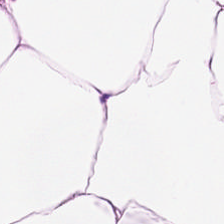Hematoxylin and eosin.
Fat tissue.
